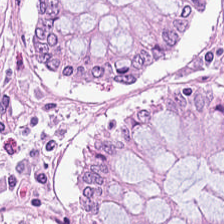Impression → normal colonic mucosa.
